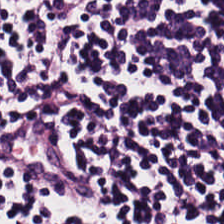Impression → lymphocytes.
